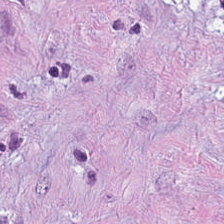Stain: hematoxylin-and-eosin stained section.
Tissue: desmoplastic stroma.
